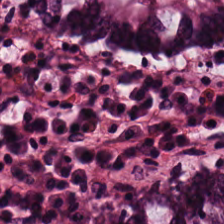H&E.
Predominantly normal colonic mucosa.
